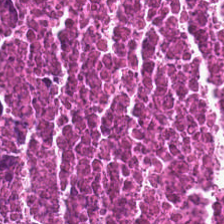H&E — {"tissue_type": "cellular debris"}
